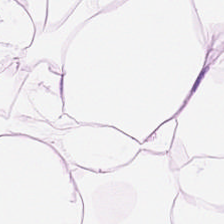Formalin-fixed paraffin-embedded section; H&E. Tissue: adipose tissue.
